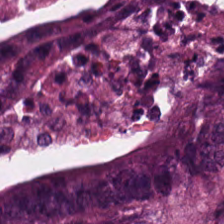FFPE. Hematoxylin and eosin — The predominant tissue is colorectal adenocarcinoma.
